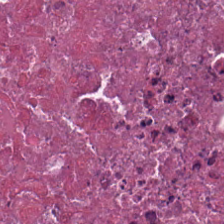H&E patch showing cellular debris.
